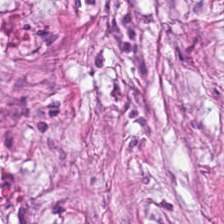Stain: hematoxylin-and-eosin stained section.
Tissue: tumor-associated stroma.
